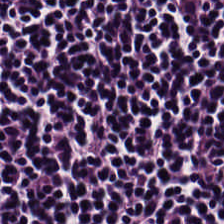Stain: H&E stain.
Acquisition: WSI patch.
Preparation: formalin-fixed paraffin-embedded section.
Tissue: lymphocytes.
